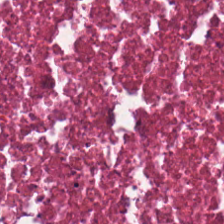H&E patch showing cellular debris.
